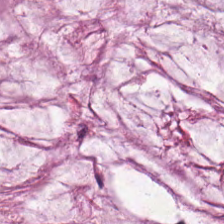Q: What type of tissue is this?
A: It is mucus.
